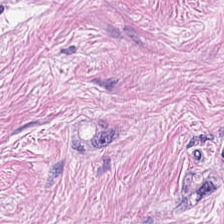Hematoxylin and eosin.
{"tissue_type": "desmoplastic stroma"}
